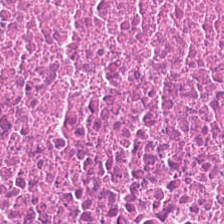Stain: H&E stain.
Predominant tissue: cellular debris.
